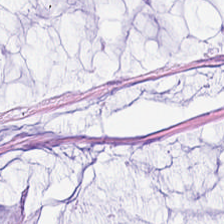H&E.
Predominantly extracellular mucin.
